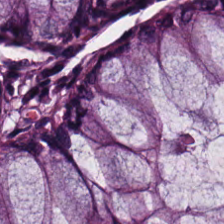H&E stain.
Showing normal colon mucosa.
